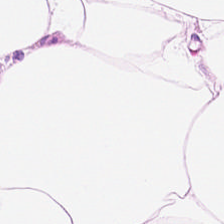WSI patch; H&E stain.
Q: Classify this patch.
A: It is fat tissue.
